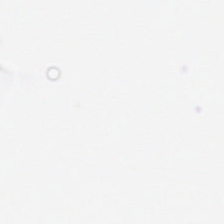H&E stain. This patch shows background.
